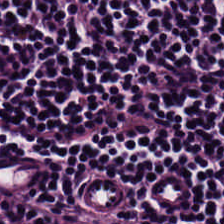Stain: H&E.
Tissue class: lymphocyte aggregate.
